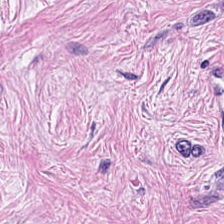H&E-stained tissue section — The predominant tissue is desmoplastic stroma.
